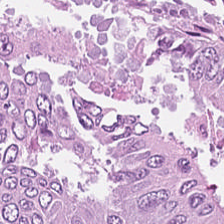H&E-stained tissue section.
This patch shows colorectal adenocarcinoma epithelium.
